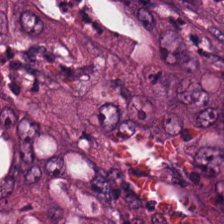Hematoxylin and eosin. Brightfield. 224×224 px tile — Q: What is shown in this field?
A: Malignant epithelium.
